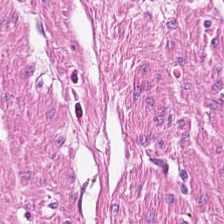Hematoxylin-and-eosin stained section. The predominant tissue is muscularis.
